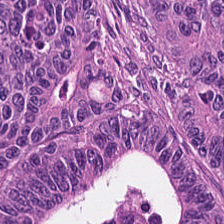H&E stain. Q: Identify the tissue.
A: This is colorectal adenocarcinoma epithelium.
